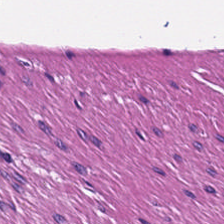H&E stain · 0.5 µm per pixel — Classification — muscularis.
